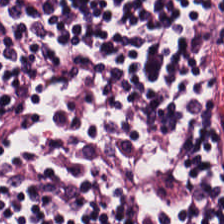224×224 px patch; brightfield microscopy; H&E — This field is lymphocyte aggregate.
